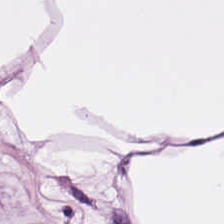Showing fat tissue.
